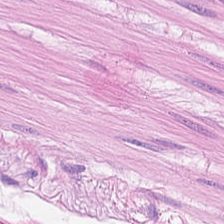The tissue here is smooth muscle.
